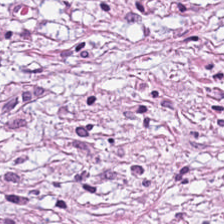224×224 px patch. Hematoxylin-and-eosin stained section.
Finding → desmoplastic stroma.
